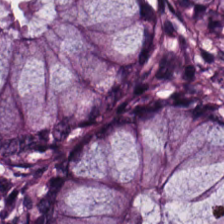Finding — benign colonic mucosa.
